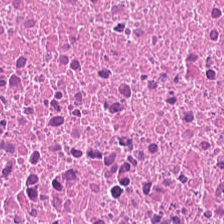The tissue is cellular debris.
